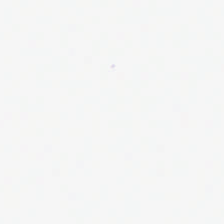H&E stain. 20× equivalent magnification — Q: What is shown in this field?
A: This is empty background.
